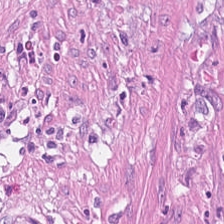224×224 px tile. Formalin-fixed paraffin-embedded section. H&E-stained tissue section.
This field is tumor-associated stroma.
